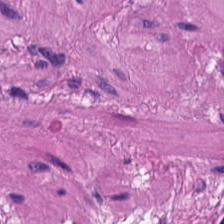Tissue = muscularis.
